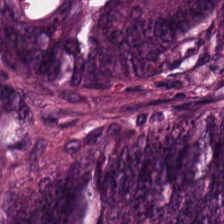Malignant epithelium.
